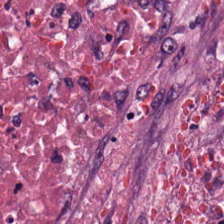H&E-stained tissue section.
Histology — necrotic debris.
